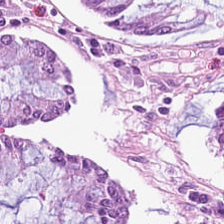H&E stain — Predominantly normal colonic mucosa.
